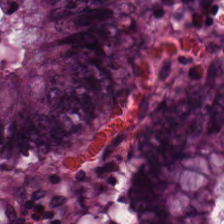Finding → benign colonic mucosa.
